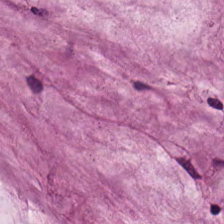Q: Classify this patch.
A: It is extracellular mucin.
